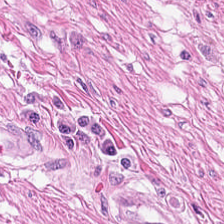H&E-stained tissue section. Brightfield microscopy.
Q: Classify this patch.
A: Muscularis.
